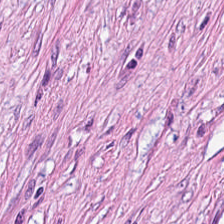Hematoxylin-and-eosin section: cancer-associated stroma.
